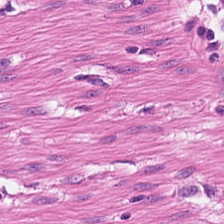H&E. Brightfield. Tissue = smooth-muscle tissue.
